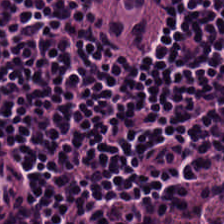H&E. Classification = lymphocytic infiltrate.
